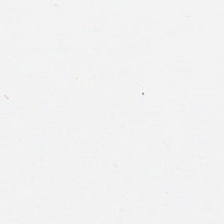224×224 pixel tile · H&E.
This field is background (no tissue).
